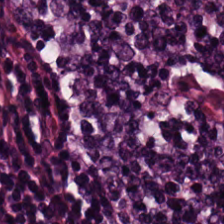Histology → lymphocytes.
